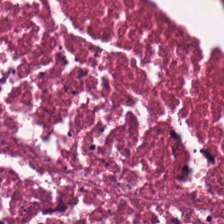Whole-slide-image patch. 224×224 px tile. H&E stain.
The tissue here is cellular debris.
